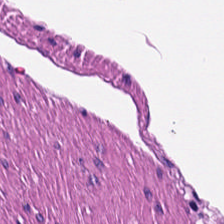Stain: hematoxylin-and-eosin stained section.
Tissue: smooth muscle.
